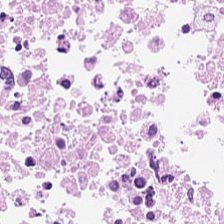224×224 pixel tile. H&E-stained tissue section — The predominant tissue is cellular debris.
